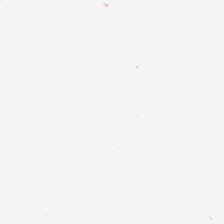{"content": "background"}
